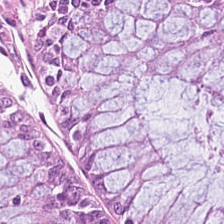Stain: H&E stain.
Classification: benign colonic mucosa.
